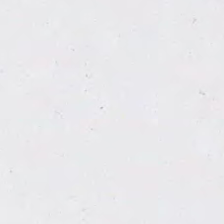Hematoxylin-and-eosin stained section. Q: What is shown here?
A: Empty background.
